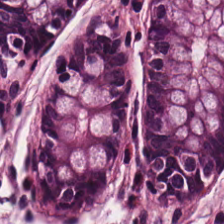Tissue: benign colonic mucosa.
